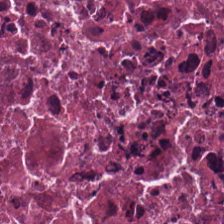H&E-stained tissue section · 224×224 px patch. Impression → necrotic debris.
